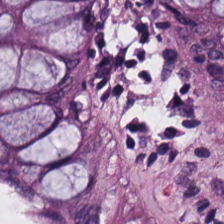H&E. Benign colonic mucosa.
